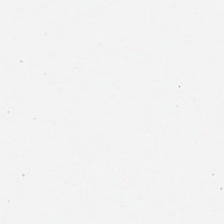H&E.
Classification: background (no tissue).
